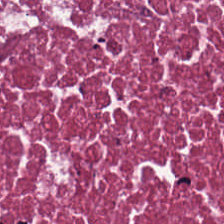Hematoxylin-and-eosin stained section. {"tissue_type": "debris"}
